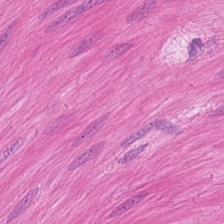H&E stain. Tissue type = muscularis.
